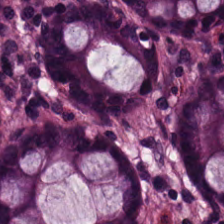H&E-stained tissue section. Benign colonic mucosa.
